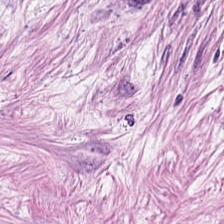Formalin-fixed paraffin-embedded section · hematoxylin and eosin. Q: What does this patch show?
A: This is tumor-associated stroma.
